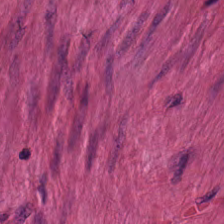H&E-stained tissue section. 224×224 pixel tile — Impression → smooth-muscle tissue.
